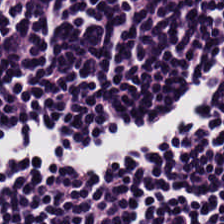Hematoxylin and eosin.
Showing lymphoid infiltrate.
